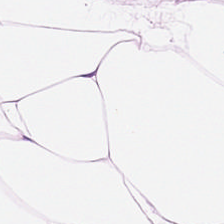H&E.
This field is adipose.
